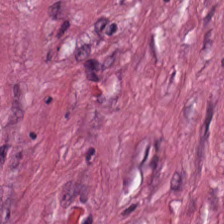This field is desmoplastic stroma.
